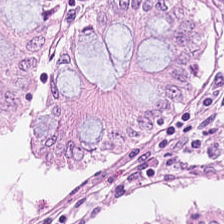{"tissue_type": "normal colonic mucosa"}
